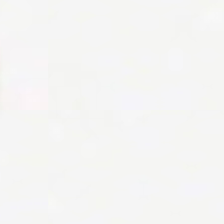Stain: H&E stain.
Field content: no tissue.
